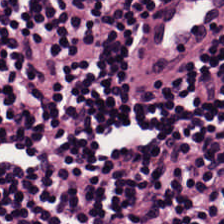Whole-slide-image patch · hematoxylin and eosin.
Classification: lymphocytic infiltrate.
